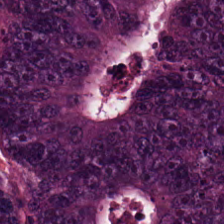H&E stain. This patch shows colorectal adenocarcinoma.
